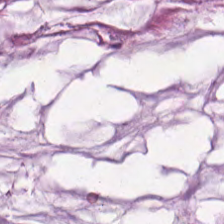H&E stain. Tissue = extracellular mucin.
